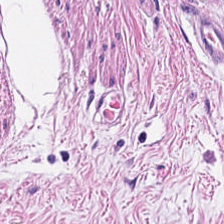Stain: H&E stain.
Acquisition: whole-slide-image patch.
Tile size: 224×224 pixel tile.
Tissue type: smooth-muscle tissue.
